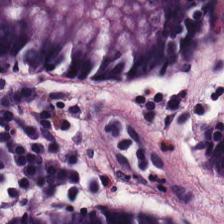Q: What does this patch show?
A: It is normal colon mucosa.
